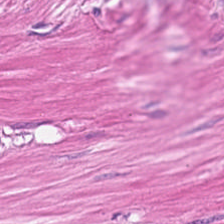Stain: hematoxylin and eosin.
Classification: smooth-muscle tissue.
